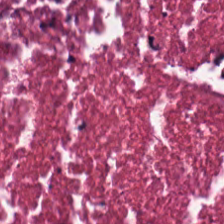Hematoxylin-and-eosin stained section. 0.5 µm per pixel. Predominantly cellular debris.
